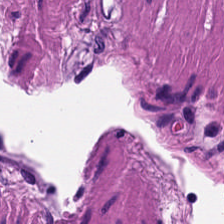H&E.
This field is smooth muscle.
